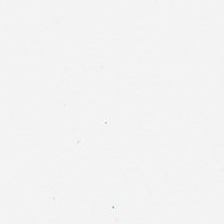Stain: H&E-stained tissue section.
Content: background.
